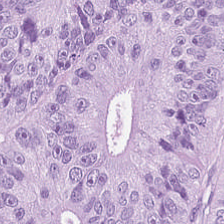Hematoxylin and eosin.
Predominant tissue = malignant epithelium.
